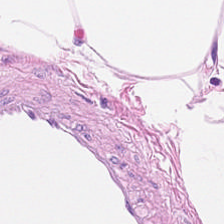Hematoxylin-and-eosin stained section — The predominant tissue is adipose.
